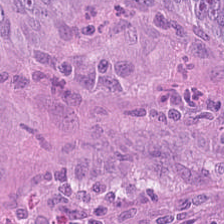Hematoxylin-and-eosin stained section; 224×224 px tile; 0.5 µm/px. This field is colorectal adenocarcinoma.
